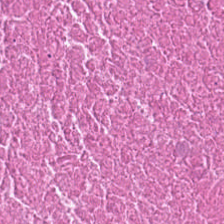H&E stain. 0.5 microns per pixel.
The tissue type is cellular debris.
